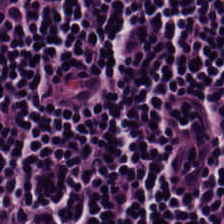224×224 px tile; H&E stain.
Q: What is the predominant tissue type?
A: Lymphoid infiltrate.
